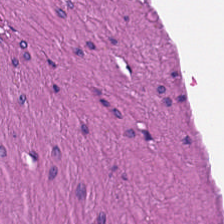20× equivalent magnification · H&E-stained tissue section — Q: What tissue type is shown here?
A: This is smooth muscle.
